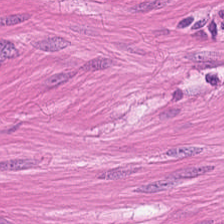Stain: H&E stain.
Preparation: FFPE tissue section.
Tile size: 224×224 pixel tile.
Tissue type: smooth-muscle tissue.
